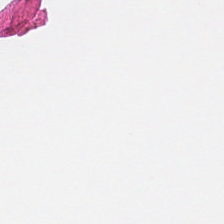Stain: H&E.
Classification: no tissue.
